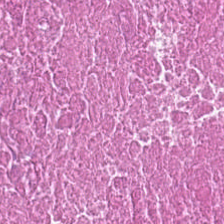H&E-stained tissue section · formalin-fixed paraffin-embedded section — Impression — cellular debris.
